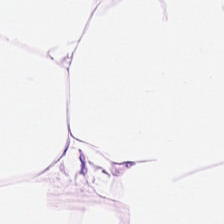H&E. 0.5 µm/px — Adipose.
